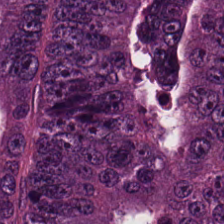Showing adenocarcinoma.
